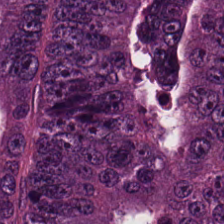Showing adenocarcinoma.
